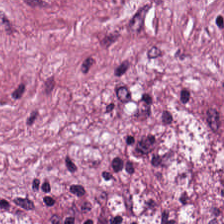H&E stain.
Predominantly desmoplastic stroma.
